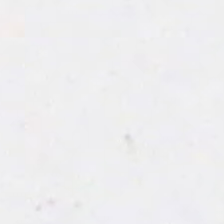H&E; 224×224 px tile; formalin-fixed paraffin-embedded section — This patch shows empty background.
